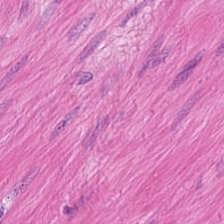H&E; formalin-fixed paraffin-embedded section — Predominantly smooth muscle.
